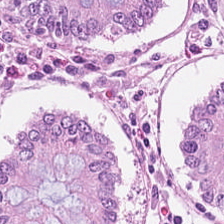H&E.
This patch shows benign colonic mucosa.
